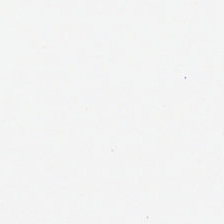Formalin-fixed paraffin-embedded section; hematoxylin-and-eosin stained section; 0.5 microns per pixel.
Classification — no tissue.
